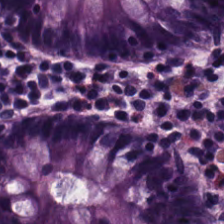0.5 microns per pixel; H&E.
Histology → normal colonic mucosa.
